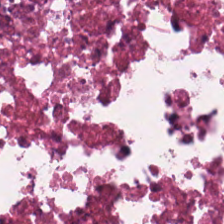Hematoxylin and eosin — Tissue type — debris.
